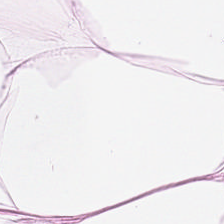H&E stain. WSI patch.
The tissue here is adipocytes.
